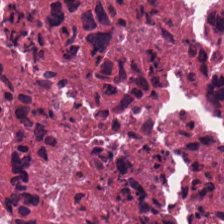Hematoxylin and eosin · 224×224 px patch — Q: What tissue is shown?
A: This is debris.
